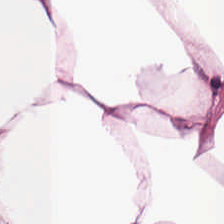Hematoxylin-and-eosin section: adipose tissue.
